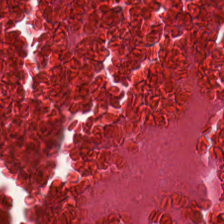Hematoxylin-and-eosin stained section; formalin-fixed paraffin-embedded section.
Q: What is the predominant tissue type?
A: It is cellular debris.
